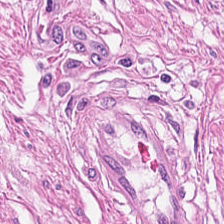H&E-stained tissue section · brightfield microscopy · 224×224 pixel tile. Tissue class: smooth muscle.
